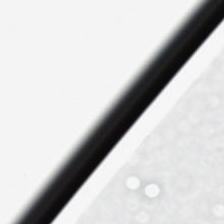Background (no tissue).
